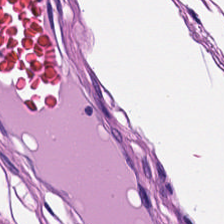224×224 pixel tile. H&E-stained tissue section — Histology — muscularis.
